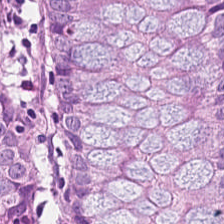224×224 px tile. H&E. Q: What is the predominant tissue type?
A: It is benign colonic mucosa.
